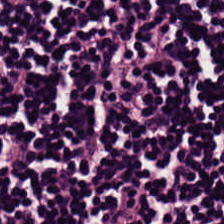Brightfield. 20× equivalent magnification. H&E.
This patch shows lymphoid infiltrate.
